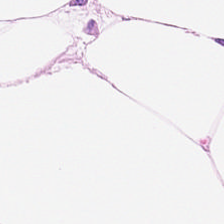Stain: H&E stain.
Tissue type: fat tissue.
